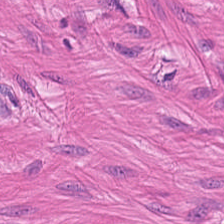This field is smooth-muscle tissue.
